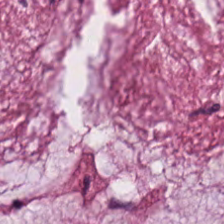224×224 px patch; H&E stain.
Impression → mucus.
